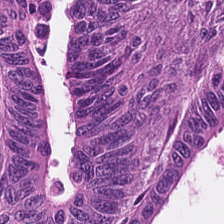H&E — Q: What is shown here?
A: It is colorectal adenocarcinoma epithelium.
